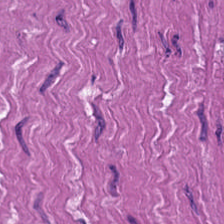This patch shows smooth-muscle tissue.
